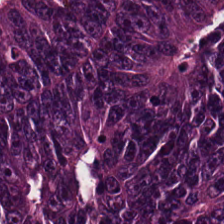Hematoxylin and eosin.
The tissue here is malignant epithelium.
